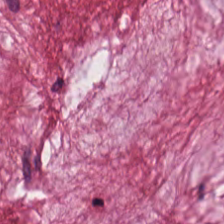Tissue class — mucin.
